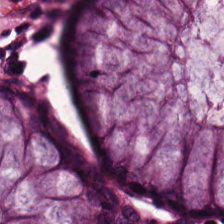WSI patch. Hematoxylin and eosin. 0.5 µm/px.
Classification = normal colon mucosa.
